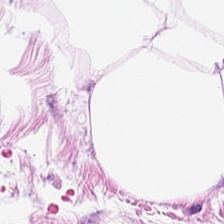Hematoxylin-and-eosin stained section.
Tissue — adipose tissue.
